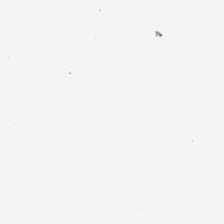H&E stain. This patch shows background.
